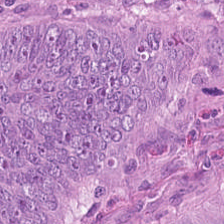Tissue = malignant epithelium.
